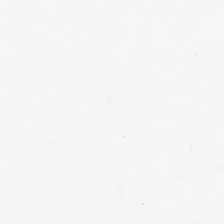Hematoxylin-and-eosin stained section.
{"content": "background (no tissue)"}
